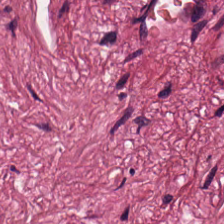224×224 px patch; H&E-stained tissue section; whole-slide-image patch. Q: What tissue is shown?
A: This is tumor stroma.
